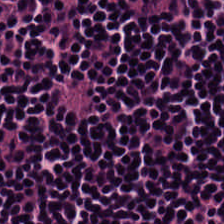Hematoxylin-and-eosin stained section.
Q: What is shown in this field?
A: The field shows lymphocytes.
